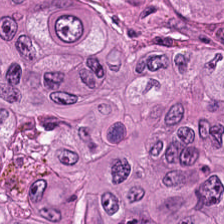H&E. This field is colorectal adenocarcinoma epithelium.
